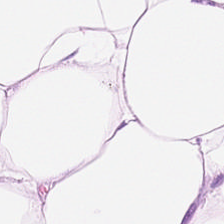Stain: H&E-stained tissue section.
Resolution: 0.5 µm per pixel.
Tissue: fat tissue.
